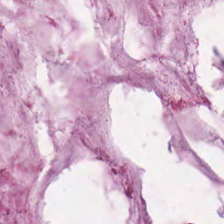Hematoxylin and eosin; whole-slide-image patch; 0.5 µm per pixel. Mucin.
